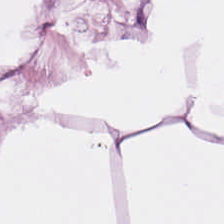Stain: hematoxylin-and-eosin stained section.
Predominant tissue: adipocytes.
